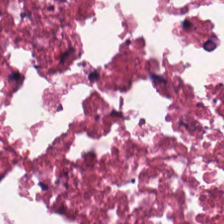Hematoxylin and eosin — Q: What type of tissue is this?
A: Necrotic debris.
